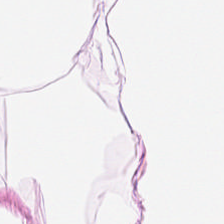The classification is adipose.
